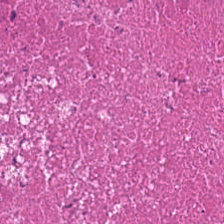Q: What tissue is shown?
A: Cellular debris.
